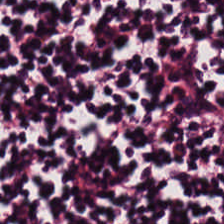Hematoxylin and eosin. Classification = lymphoid infiltrate.
